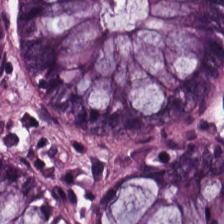Tissue type — normal colonic mucosa.
